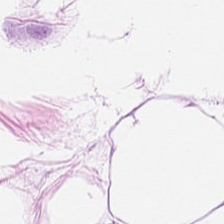Whole-slide-image patch; H&E — Tissue type: adipose tissue.
